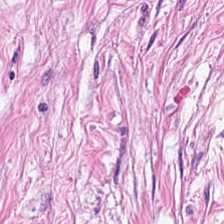Q: What is the predominant tissue type?
A: This is desmoplastic stroma.
